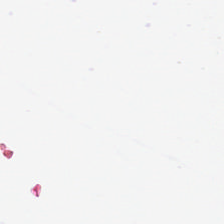{"content": "empty background"}
